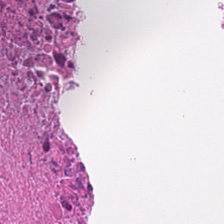Stain: H&E.
Tissue: debris.
